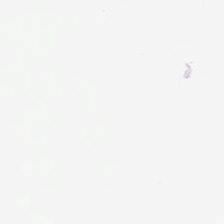Hematoxylin and eosin. Classification — background (no tissue).
